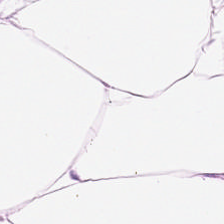H&E-stained tissue section — Predominantly adipose tissue.
